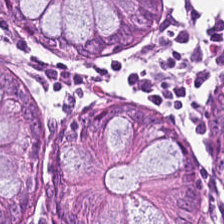Hematoxylin and eosin — Impression — normal colonic mucosa.
